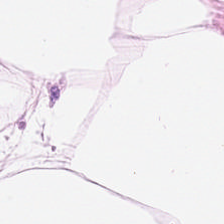0.5 µm per pixel; whole-slide-image patch; H&E-stained tissue section. This field is adipose tissue.
